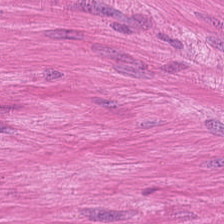Tissue class: smooth-muscle tissue.
